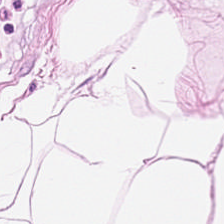Stain: H&E stain.
Tissue type: adipocytes.
